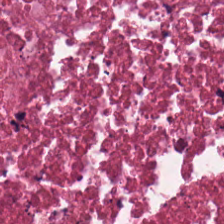Hematoxylin-and-eosin stained section.
The predominant tissue is debris.
